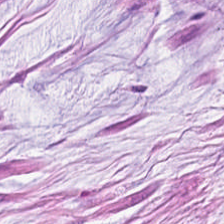H&E. The tissue type is mucin.
